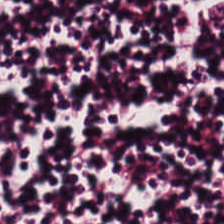Classification: lymphocytic infiltrate.
